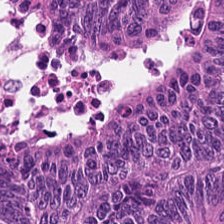WSI patch. H&E. Predominantly adenocarcinoma.
